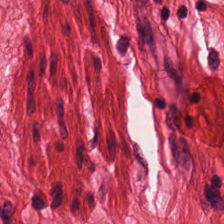Stain: hematoxylin-and-eosin stained section.
Acquisition: WSI patch.
Tile size: 224×224 px patch.
Predominant tissue: muscularis.
